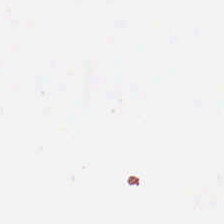Hematoxylin-and-eosin stained section. Content = background (no tissue).
